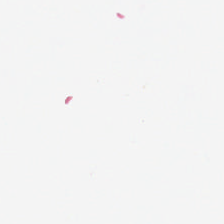Stain: hematoxylin-and-eosin stained section.
Resolution: 20× equivalent magnification.
Classification: empty background.
